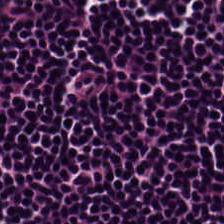H&E-stained tissue section; 0.5 µm/px.
Histology → lymphoid infiltrate.
